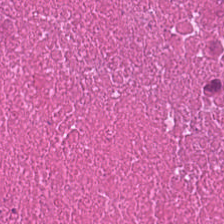Hematoxylin-and-eosin stained section; WSI patch; FFPE tissue section — Q: Classify this patch.
A: It is necrotic debris.
